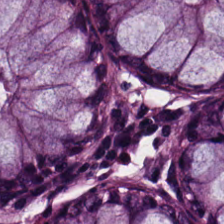Hematoxylin-and-eosin stained section. Q: What tissue is shown?
A: Normal colon mucosa.
